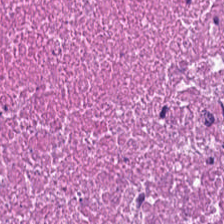H&E-stained tissue section. Classification — debris.
